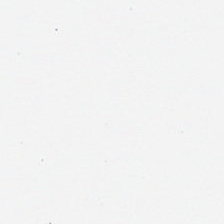Hematoxylin and eosin. Background (no tissue).
